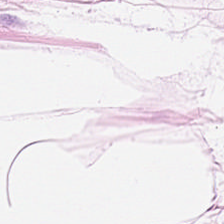H&E stain.
Predominant tissue — fat tissue.
